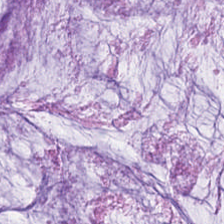Hematoxylin-and-eosin stained section; WSI patch; FFPE tissue section.
Q: What type of tissue is this?
A: This is mucin.
